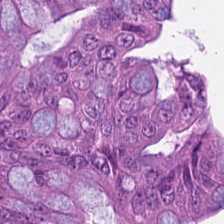20× equivalent magnification · H&E. {"tissue_type": "adenocarcinoma"}
